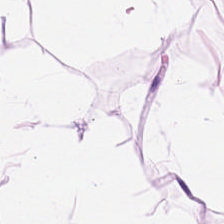H&E. 0.5 µm per pixel — The tissue class is adipose tissue.
